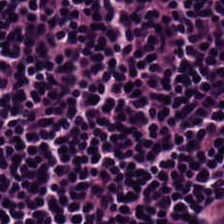224×224 pixel tile; hematoxylin-and-eosin stained section; formalin-fixed paraffin-embedded section — Q: What tissue is shown?
A: The field shows lymphoid infiltrate.
